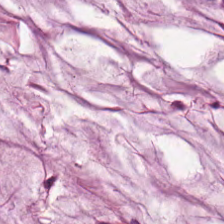H&E-stained tissue section.
Predominantly extracellular mucin.
